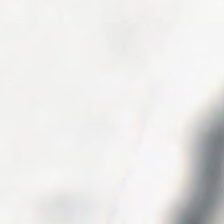This patch shows empty background.
